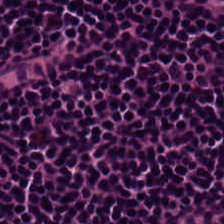H&E-stained tissue section · FFPE.
The predominant tissue is lymphoid infiltrate.
